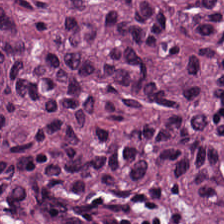Q: Identify the tissue.
A: This is malignant epithelium.
